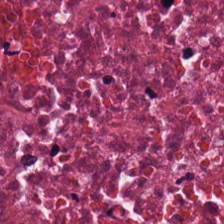H&E stain · formalin-fixed paraffin-embedded section · brightfield microscopy.
Tissue — debris.
